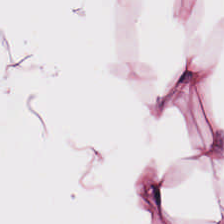H&E stain. Showing adipose tissue.
